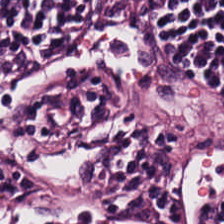H&E-stained tissue section. This field is lymphocytic infiltrate.
